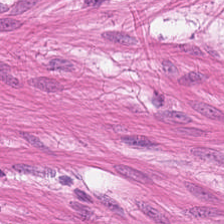Q: What is the predominant tissue type?
A: It is smooth muscle.
